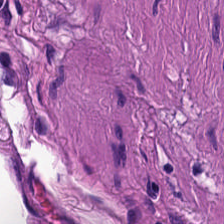H&E stain. Q: What is the predominant tissue type?
A: Smooth muscle.
